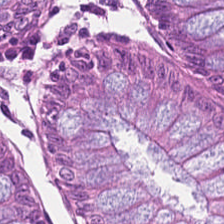Stain: H&E.
Resolution: 0.5 µm per pixel.
Tissue: normal colonic mucosa.
